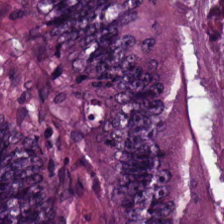Hematoxylin and eosin. {"tissue_type": "malignant epithelium"}
